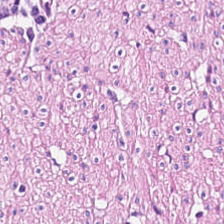Hematoxylin and eosin — Showing muscularis.
